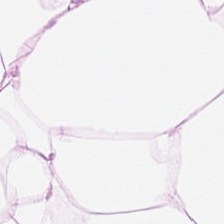Hematoxylin-and-eosin stained section. 0.5 microns per pixel. Tissue type: adipose.
